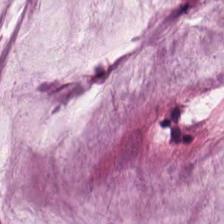H&E-stained tissue section; 224×224 px patch. Finding — mucin.
